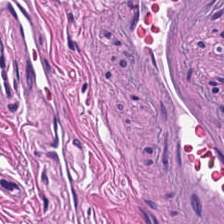Q: What is shown in this field?
A: Muscularis.
